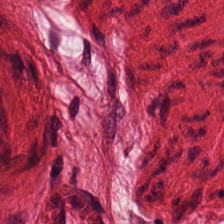Stain: H&E.
Acquisition: brightfield microscopy.
Tissue type: muscularis.
